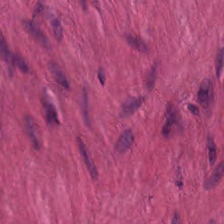Hematoxylin-and-eosin stained section — Tissue type — smooth-muscle tissue.
